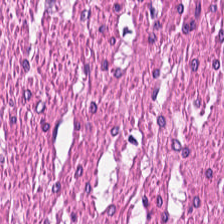H&E-stained tissue section. The tissue here is smooth muscle.
